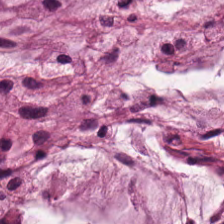Hematoxylin and eosin.
Tissue: mucus.
